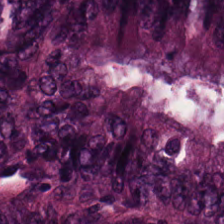Brightfield microscopy; hematoxylin and eosin; formalin-fixed paraffin-embedded section.
Predominantly colorectal adenocarcinoma epithelium.
